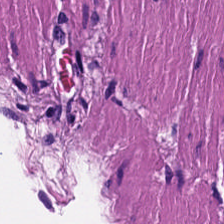Hematoxylin and eosin — The predominant tissue is muscularis.
